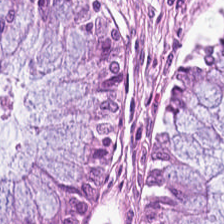H&E-stained tissue section. Q: What type of tissue is this?
A: The field shows normal colon mucosa.
